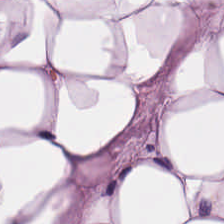FFPE tissue section · hematoxylin and eosin · brightfield.
The tissue here is adipocytes.
